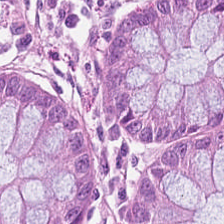Stain: hematoxylin and eosin.
Preparation: FFPE.
Resolution: 0.5 µm/px.
Tissue: normal colon mucosa.
